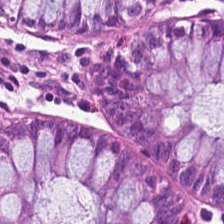0.5 µm per pixel. Hematoxylin and eosin. The tissue here is benign colonic mucosa.
